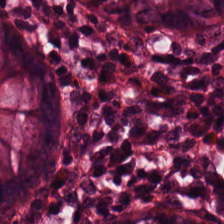H&E. Showing normal colonic mucosa.
